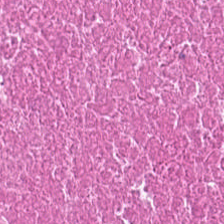Hematoxylin and eosin. 224×224 px patch — Tissue: cellular debris.
